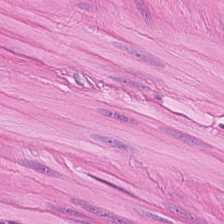H&E stain. This field is smooth muscle.
